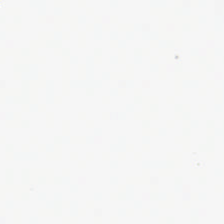0.5 µm per pixel; H&E stain — Q: What is shown here?
A: Empty background.
